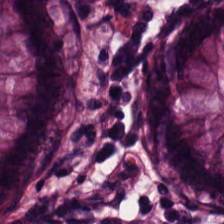Histology — normal colon mucosa.
